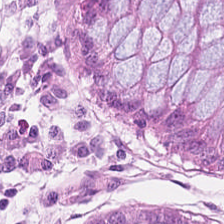Hematoxylin-and-eosin stained section. Predominantly non-neoplastic colon mucosa.
